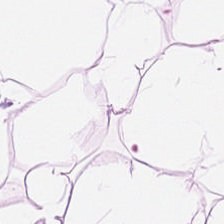H&E — fat tissue.
